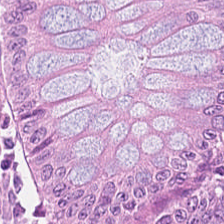H&E stain — Tissue class: normal colonic mucosa.
